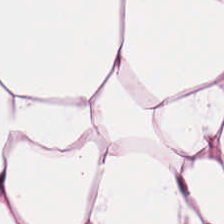Stain: H&E-stained tissue section.
Classification: fat tissue.
